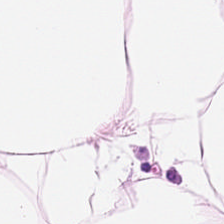Stain: hematoxylin-and-eosin stained section.
Preparation: formalin-fixed paraffin-embedded section.
Predominant tissue: fat tissue.
